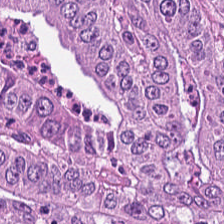H&E. Showing malignant epithelium.
